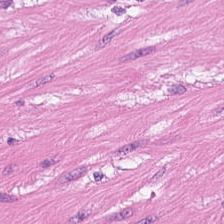Stain: H&E.
Classification: muscularis.
